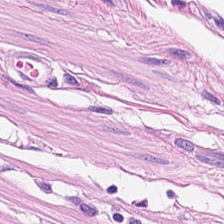Hematoxylin-and-eosin section: smooth muscle.
